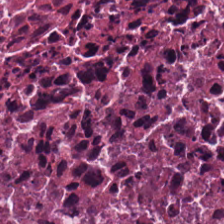The tissue here is cellular debris.
